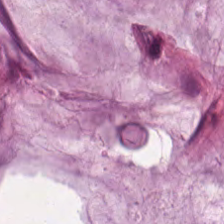H&E stain.
Showing mucus.
